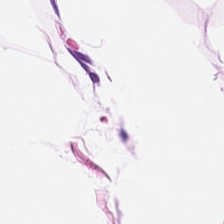FFPE; 0.5 µm per pixel; H&E.
Classification — adipocytes.
